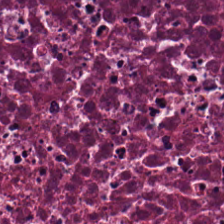224×224 px patch · hematoxylin-and-eosin stained section.
Q: What is shown here?
A: The field shows cellular debris.
